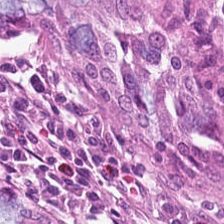Brightfield · hematoxylin and eosin. Q: What type of tissue is this?
A: This is normal colon mucosa.
